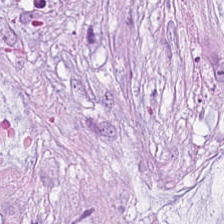Q: What tissue type is shown here?
A: It is mucin.
